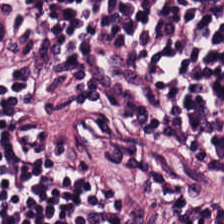FFPE; 224×224 px tile; H&E. Q: What is shown here?
A: The field shows lymphocyte aggregate.
